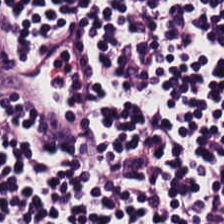H&E-stained tissue section · 20× equivalent magnification — Q: What tissue is shown?
A: Lymphocyte aggregate.
